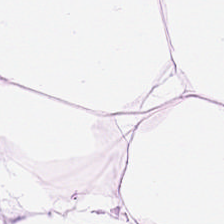FFPE tissue section; H&E.
This field is fat tissue.
